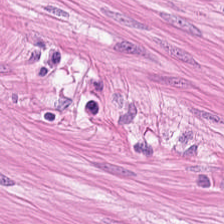H&E-stained tissue section — Histology — smooth muscle.
